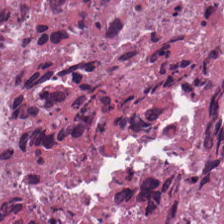Hematoxylin-and-eosin section: necrotic debris.
